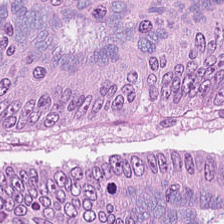Stain: H&E.
Tissue type: colorectal adenocarcinoma epithelium.
